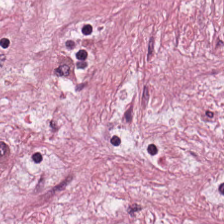Whole-slide-image patch. Hematoxylin-and-eosin stained section.
The tissue class is tumor-associated stroma.
